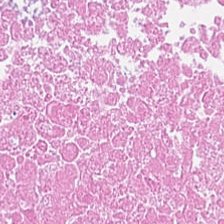H&E-stained section; the field shows necrotic debris.
